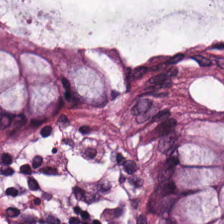Stain: H&E-stained tissue section.
Tile size: 224×224 pixel tile.
Predominant tissue: normal colonic mucosa.
